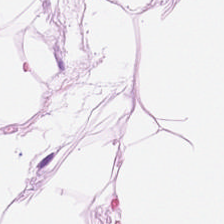224×224 px tile. Hematoxylin-and-eosin stained section.
Predominant tissue: adipose tissue.
